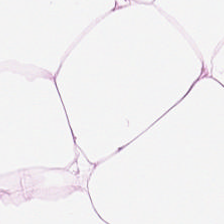This patch shows fat tissue.
